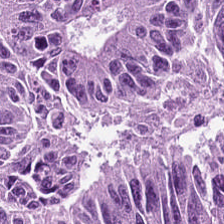Formalin-fixed paraffin-embedded section. H&E stain. 20× equivalent magnification.
Q: What type of tissue is this?
A: The field shows adenocarcinoma.
